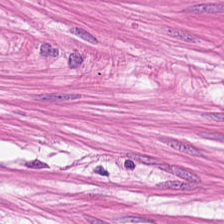Stain: hematoxylin-and-eosin stained section.
Tissue class: muscularis.
